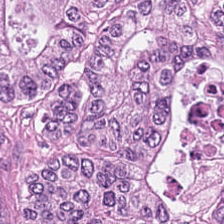H&E stain; brightfield microscopy — Predominantly tumor epithelium.
